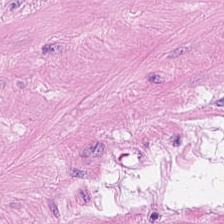Q: What is shown here?
A: The field shows smooth muscle.
